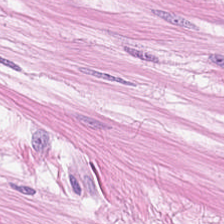Hematoxylin and eosin — {"tissue_type": "smooth muscle"}
